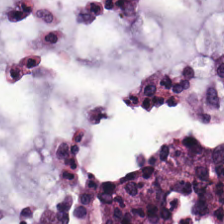The tissue is extracellular mucin.
